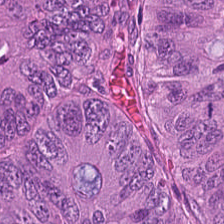Finding — malignant epithelium.
